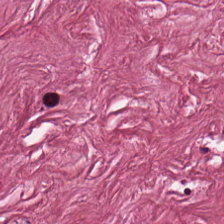Stain: H&E-stained tissue section.
Acquisition: WSI patch.
Preparation: FFPE tissue section.
Tissue type: desmoplastic stroma.
